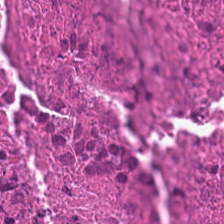Predominantly cellular debris.
